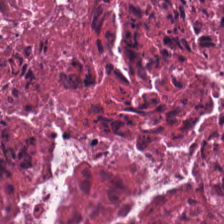Tissue type — debris.
